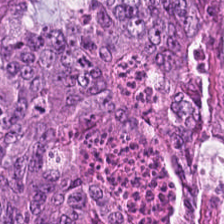224×224 px patch; H&E stain — This field is tumor epithelium.
